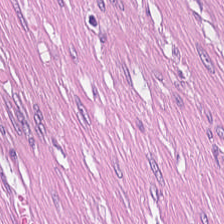H&E-stained tissue section · FFPE.
Showing desmoplastic stroma.
